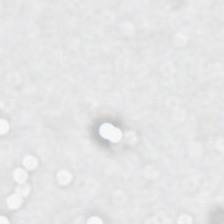H&E.
Histology → background.
